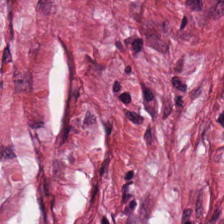This patch shows cancer-associated stroma.
